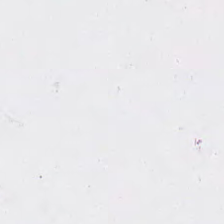Impression → background (no tissue).
